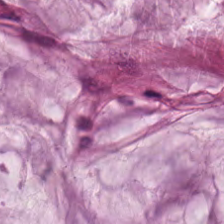Impression — mucus.
